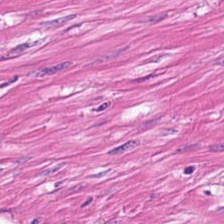Hematoxylin-and-eosin stained section — Q: What is shown in this field?
A: Smooth muscle.
